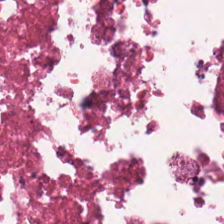224×224 px patch; hematoxylin and eosin.
Q: Identify the tissue.
A: Debris.
